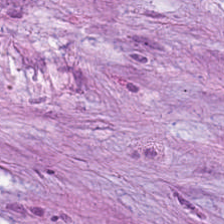H&E stain.
The tissue is tumor stroma.
